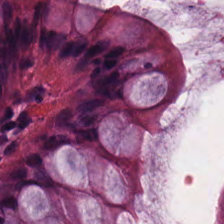Stain: H&E-stained tissue section.
Predominant tissue: normal colonic mucosa.
